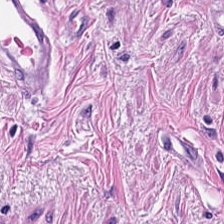Stain: H&E.
Predominant tissue: smooth muscle.
